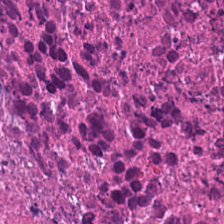Hematoxylin-and-eosin stained section. Debris.
